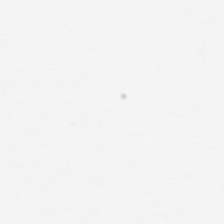Brightfield; H&E stain. No tissue.
